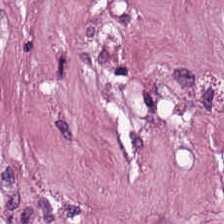H&E stain.
Q: What type of tissue is this?
A: Tumor-associated stroma.
